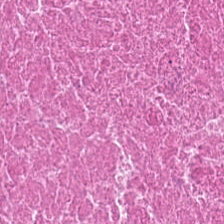Stain: hematoxylin and eosin.
Tissue: debris.
